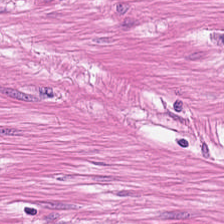H&E stain. Tissue class — muscularis.
